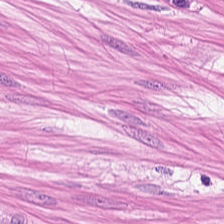FFPE tissue section. Hematoxylin-and-eosin stained section. 224×224 px tile. Q: What is the predominant tissue type?
A: The field shows muscularis.
